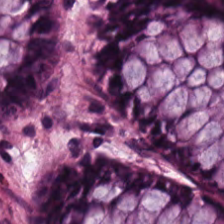Showing normal colonic mucosa.
